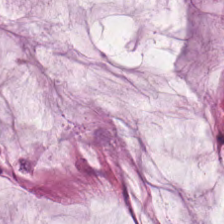Hematoxylin and eosin · whole-slide-image patch.
Tissue type — mucus.
